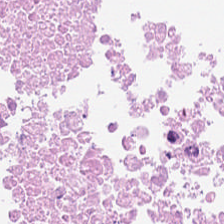20× equivalent magnification. H&E — Histology — necrotic debris.
